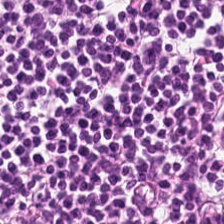Hematoxylin-and-eosin stained section.
Tissue = lymphoid infiltrate.
